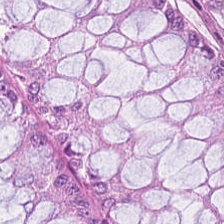Stain: H&E.
Resolution: 0.5 microns per pixel.
Preparation: FFPE tissue section.
Tissue type: normal colon mucosa.
